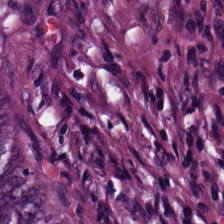Tissue type = colorectal adenocarcinoma.
